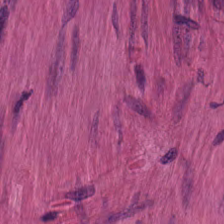Stain: H&E stain.
Preparation: FFPE.
Tissue: smooth muscle.
